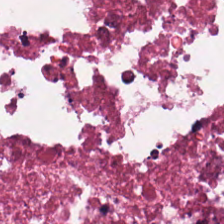Cellular debris.
